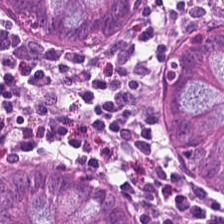H&E. WSI patch.
The tissue is benign colonic mucosa.
